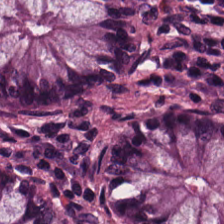H&E-stained tissue section.
{"tissue_type": "normal colonic mucosa"}
